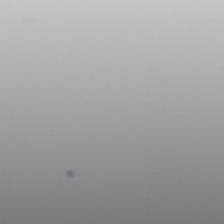H&E.
No tissue.
